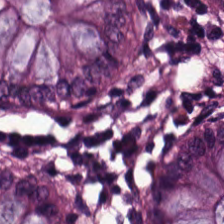224×224 pixel tile · H&E stain. Non-neoplastic colon mucosa.
